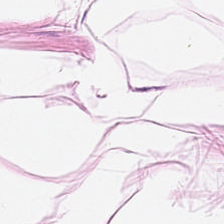Q: What is shown here?
A: This is adipose tissue.
